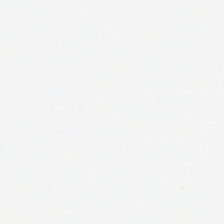H&E-stained tissue section · 20× equivalent magnification — Histology — no tissue.
